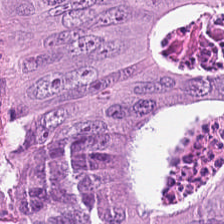Hematoxylin-and-eosin stained section. Formalin-fixed paraffin-embedded section. WSI patch. The tissue class is colorectal adenocarcinoma epithelium.
